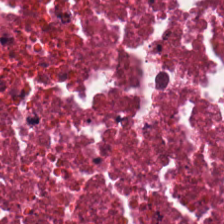20× equivalent magnification · hematoxylin-and-eosin stained section.
The tissue is necrotic debris.
